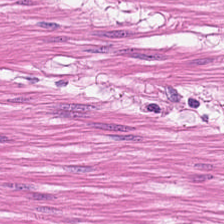Q: What does this patch show?
A: Smooth-muscle tissue.
